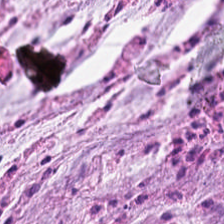H&E-stained tissue section — Predominantly mucus.
